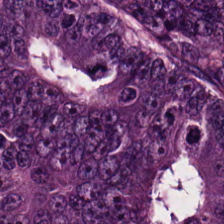Hematoxylin-and-eosin stained section — Predominant tissue: colorectal adenocarcinoma.
